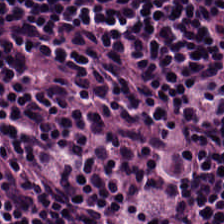Hematoxylin and eosin; 224×224 px patch.
The tissue type is lymphocyte aggregate.
